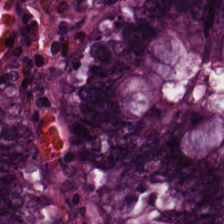H&E-stained tissue section; 20× equivalent magnification — The predominant tissue is non-neoplastic colon mucosa.
